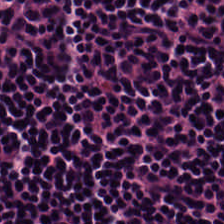H&E — This field is lymphocytic infiltrate.
